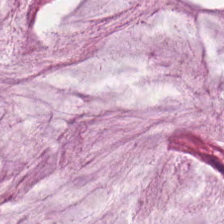224×224 pixel tile; 0.5 µm/px; H&E-stained tissue section.
The predominant tissue is mucus.
